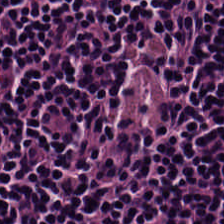H&E-stained tissue section — The tissue class is lymphocytic infiltrate.
